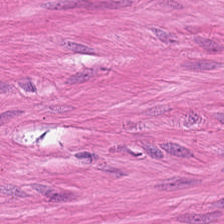224×224 px tile. H&E-stained tissue section — {"tissue_type": "muscularis"}
